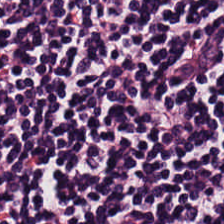H&E-stained tissue section. {"tissue_type": "lymphocytic infiltrate"}
